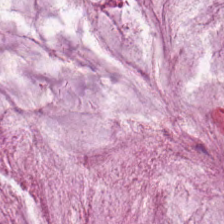Tissue: extracellular mucin.
